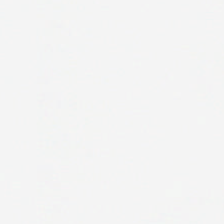Formalin-fixed paraffin-embedded section; hematoxylin and eosin. Background — no tissue in this field.
